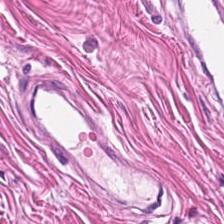Stain: hematoxylin-and-eosin stained section.
Resolution: 0.5 µm/px.
Acquisition: brightfield.
Tissue type: smooth muscle.
